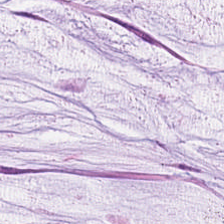Stain: hematoxylin-and-eosin stained section.
Preparation: formalin-fixed paraffin-embedded section.
Resolution: 0.5 µm/px.
Classification: extracellular mucin.
